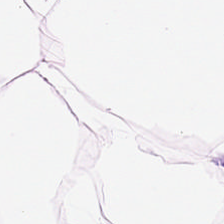H&E stain. Finding → adipose.
